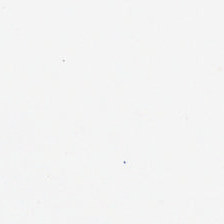The classification is no tissue.
